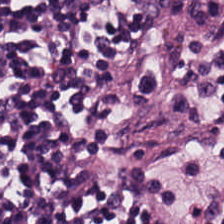Stain: hematoxylin-and-eosin stained section.
Preparation: formalin-fixed paraffin-embedded section.
Tissue type: lymphocytic infiltrate.
